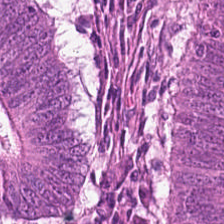Q: What type of tissue is this?
A: The field shows malignant epithelium.
